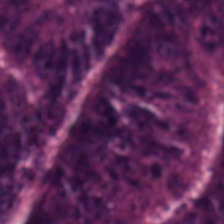224×224 px patch · H&E — Tissue type: colorectal adenocarcinoma.
